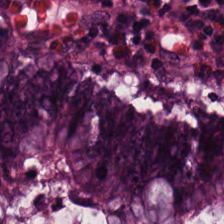Hematoxylin-and-eosin stained section · 224×224 px patch · 0.5 µm/px. Histology — normal colonic mucosa.
